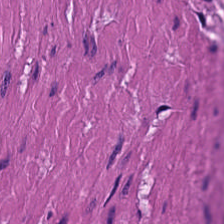0.5 µm/px; WSI patch; H&E. Q: What tissue is shown?
A: It is muscularis.
